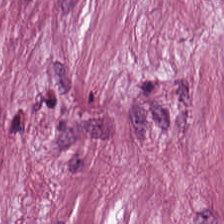The predominant tissue is tumor stroma.
